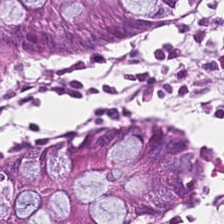Stain: H&E.
Preparation: formalin-fixed paraffin-embedded section.
Tissue type: non-neoplastic colon mucosa.
